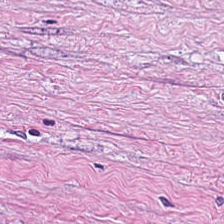H&E.
This field is tumor stroma.
